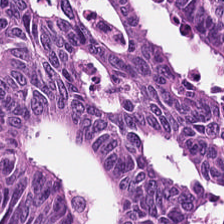Q: Identify the tissue.
A: The field shows colorectal adenocarcinoma.
